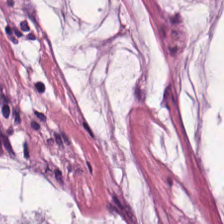Formalin-fixed paraffin-embedded section · H&E · 0.5 microns per pixel — Q: What is shown here?
A: It is mucin.
